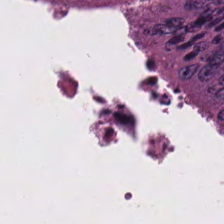Finding → colorectal adenocarcinoma epithelium.
